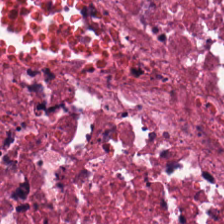H&E. Necrotic debris.
